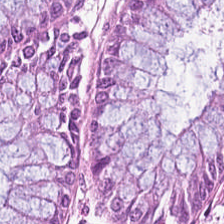Stain: H&E-stained tissue section.
Classification: benign colonic mucosa.
